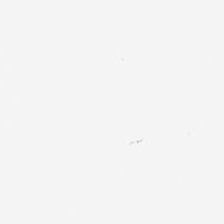Finding → empty background.
